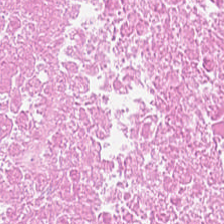Impression — debris.
